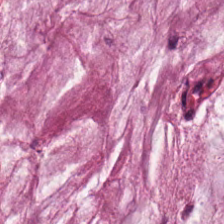H&E stain. 0.5 µm per pixel — Extracellular mucin.
